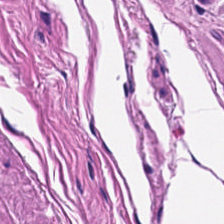Hematoxylin-and-eosin section: smooth-muscle tissue.
